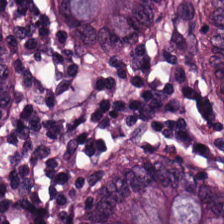Hematoxylin-and-eosin stained section. The tissue here is normal colonic mucosa.
